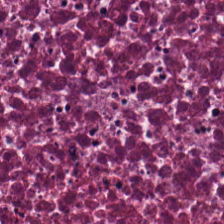H&E-stained tissue section showing debris.
